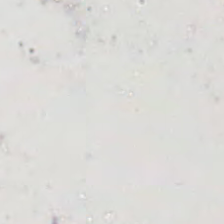Hematoxylin-and-eosin stained section — Q: What is shown in this field?
A: It is background.
